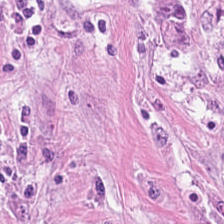Q: What does this patch show?
A: The field shows tumor-associated stroma.
